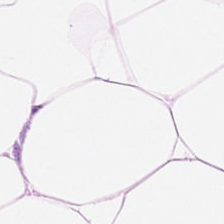Hematoxylin-and-eosin stained section — This patch shows adipose tissue.
